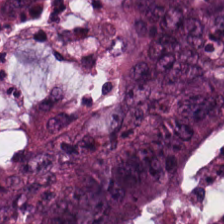H&E stain. Tissue: adenocarcinoma.
